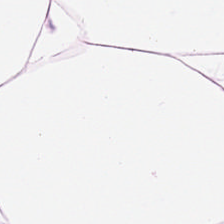H&E stain. The predominant tissue is adipocytes.
